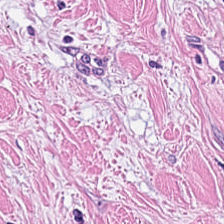Tissue — desmoplastic stroma.
